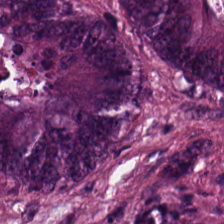Stain: hematoxylin-and-eosin stained section.
Classification: colorectal adenocarcinoma.
